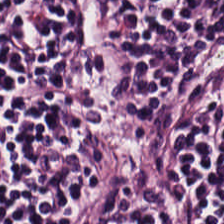H&E-stained tissue section · 0.5 µm per pixel. Finding → lymphocytic infiltrate.
